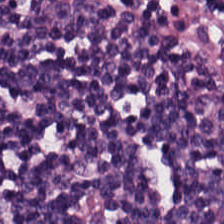20× equivalent magnification. Hematoxylin-and-eosin stained section. The tissue here is lymphocytic infiltrate.
